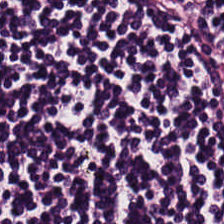Hematoxylin-and-eosin stained section.
This field is lymphocytes.
